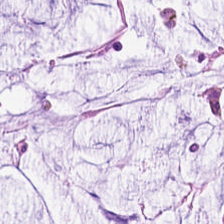Predominant tissue — mucus.
